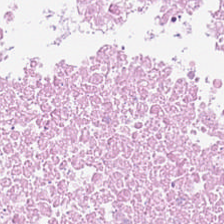Histology → debris.
